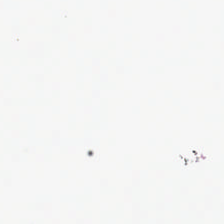Formalin-fixed paraffin-embedded section · 20× equivalent magnification · hematoxylin and eosin — Content: no tissue.
